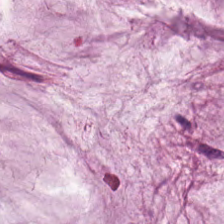Whole-slide-image patch · hematoxylin and eosin.
Q: Identify the tissue.
A: It is mucin.
